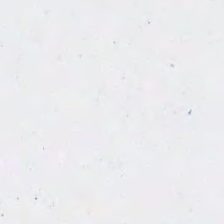H&E-stained tissue section.
This patch shows background.
